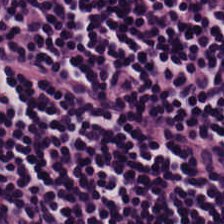224×224 pixel tile; hematoxylin and eosin; 20× equivalent magnification — The tissue type is lymphocytic infiltrate.
